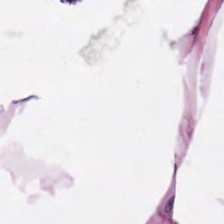Hematoxylin and eosin · 0.5 µm per pixel.
Tissue — adipose.
